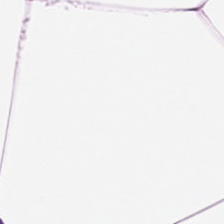{"tissue_type": "adipose tissue"}
